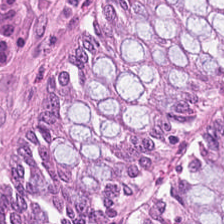H&E.
Classification = normal colonic mucosa.
